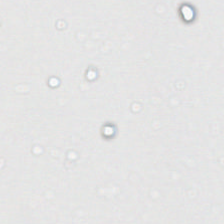H&E stain. FFPE.
{"content": "background"}
